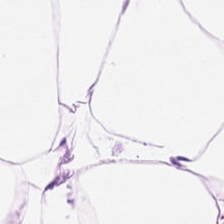Hematoxylin and eosin — Q: What tissue type is shown here?
A: The field shows adipose tissue.
